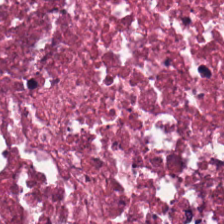Brightfield microscopy. Hematoxylin and eosin.
This patch shows cellular debris.
